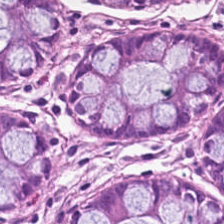Hematoxylin-and-eosin section: non-neoplastic colon mucosa.
